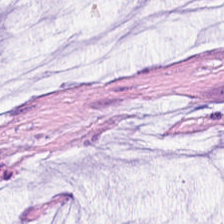224×224 px tile; hematoxylin-and-eosin stained section; whole-slide-image patch. Finding → mucus.
